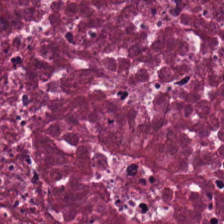Stain: hematoxylin-and-eosin stained section.
Predominant tissue: debris.
